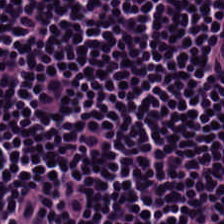Stain: H&E stain.
Acquisition: whole-slide-image patch.
Tissue: lymphoid infiltrate.
